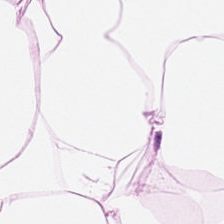Hematoxylin-and-eosin stained section. This field is adipose tissue.
